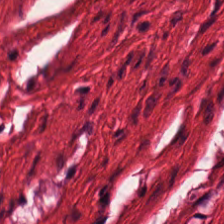Smooth-muscle tissue.
